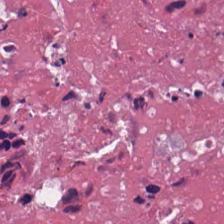Hematoxylin-and-eosin stained section; 0.5 µm per pixel — Finding → debris.
